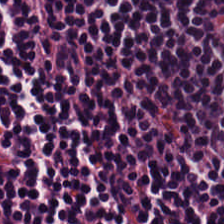0.5 µm per pixel. H&E — Q: What is shown in this field?
A: This is lymphoid infiltrate.
